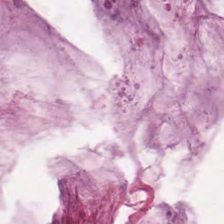Q: What type of tissue is this?
A: The field shows mucin.
